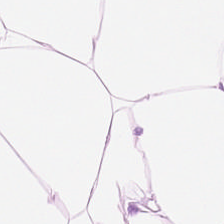Hematoxylin and eosin — Q: What tissue type is shown here?
A: Adipose tissue.
